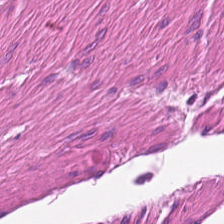Tissue type: smooth muscle.
